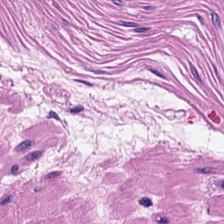Hematoxylin-and-eosin stained section — Classification — smooth-muscle tissue.
